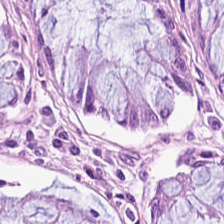Stain: H&E-stained tissue section.
Acquisition: brightfield.
Tissue class: benign colonic mucosa.
